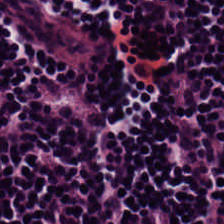Brightfield microscopy · H&E-stained tissue section · 20× equivalent magnification — Q: What tissue type is shown here?
A: The field shows lymphoid infiltrate.
